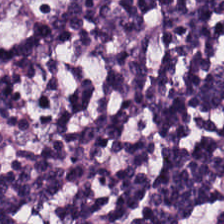Hematoxylin and eosin — The tissue here is lymphoid infiltrate.
